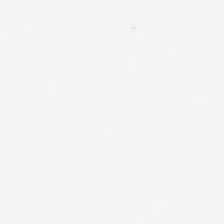Field content = no tissue.
